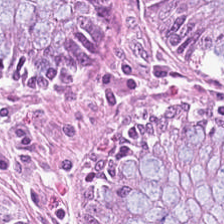20× equivalent magnification · hematoxylin-and-eosin stained section — {"tissue_type": "benign colonic mucosa"}
